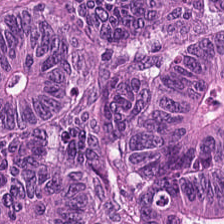H&E — Impression → tumor epithelium.
